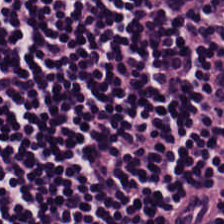H&E; 224×224 pixel tile; brightfield — Tissue class: lymphocyte aggregate.
